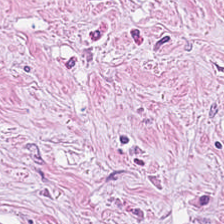H&E. 224×224 px tile.
Classification: tumor-associated stroma.
